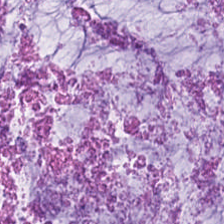224×224 pixel tile · hematoxylin-and-eosin stained section · FFPE. Showing extracellular mucin.
